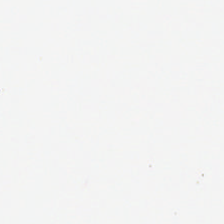H&E stain. Field content = background (no tissue).
